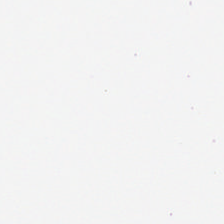H&E · brightfield microscopy. Q: What is shown here?
A: No tissue.
